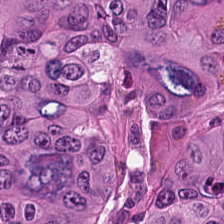Hematoxylin and eosin. The tissue class is adenocarcinoma.
